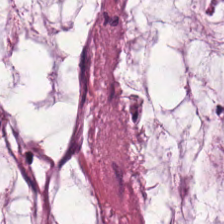H&E stain · FFPE tissue section · 0.5 microns per pixel — Impression — extracellular mucin.
